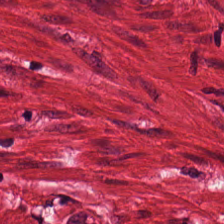H&E stain. Tissue: muscularis.
